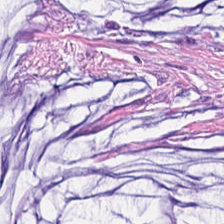H&E-stained tissue section — The tissue class is cancer-associated stroma.
